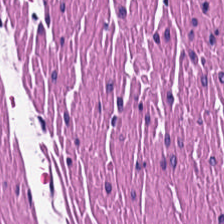Hematoxylin and eosin; 0.5 µm per pixel — Classification — smooth-muscle tissue.
